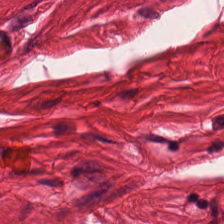H&E. 0.5 µm/px. FFPE — Tissue class: muscularis.
